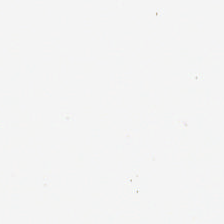Hematoxylin-and-eosin stained section. No tissue present; background only.
